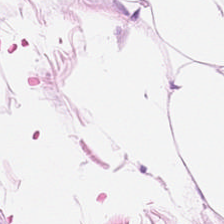Stain: H&E stain.
Preparation: formalin-fixed paraffin-embedded section.
Classification: adipose.
